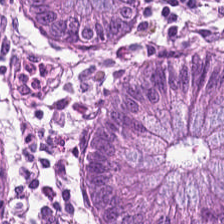Hematoxylin-and-eosin stained section.
The tissue type is normal colonic mucosa.
